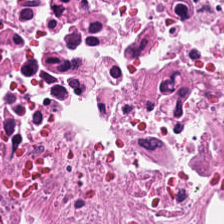FFPE · H&E-stained tissue section — Q: What tissue is shown?
A: Necrotic debris.
